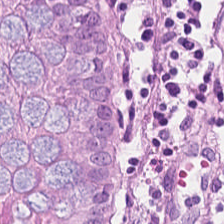H&E patch showing non-neoplastic colon mucosa.
